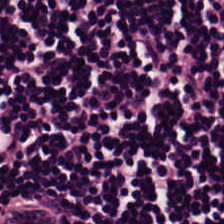WSI patch; 20× equivalent magnification; H&E. Q: What is shown here?
A: The field shows lymphocytes.
